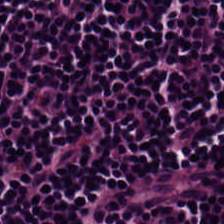Hematoxylin-and-eosin stained section — Classification: lymphocyte aggregate.
